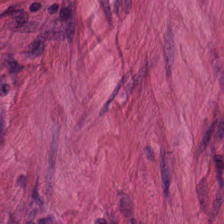Hematoxylin and eosin.
Classification = smooth muscle.
